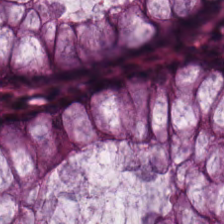H&E stain.
The classification is benign colonic mucosa.
